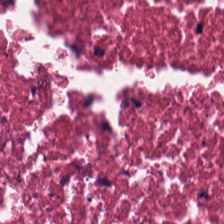H&E stain; formalin-fixed paraffin-embedded section — Cellular debris.
